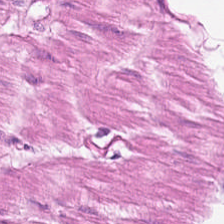H&E — Classification = smooth-muscle tissue.
